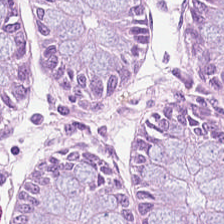H&E — Q: What does this patch show?
A: It is non-neoplastic colon mucosa.
